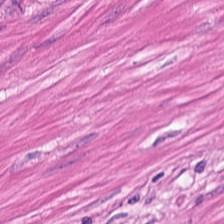H&E — This field is smooth-muscle tissue.
